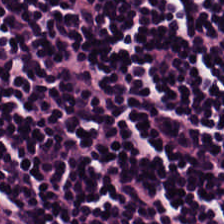Stain: H&E-stained tissue section.
Classification: lymphocyte aggregate.
